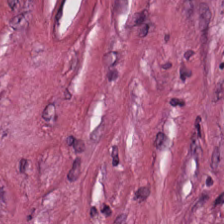Hematoxylin-and-eosin stained section — The predominant tissue is tumor-associated stroma.
